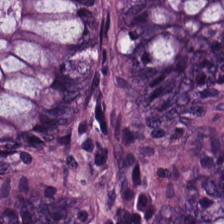WSI patch · H&E · 224×224 px tile — The tissue here is non-neoplastic colon mucosa.
